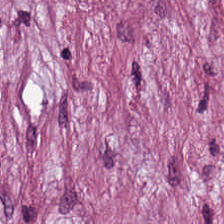Stain: hematoxylin and eosin.
Predominant tissue: desmoplastic stroma.
